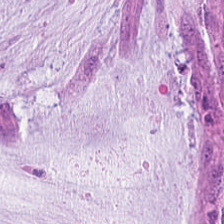H&E — The tissue here is mucin.
